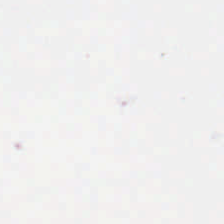Stain: H&E.
Classification: no tissue.
